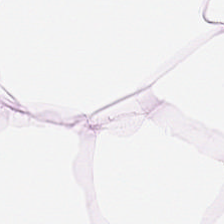Hematoxylin-and-eosin stained section — The tissue here is adipocytes.
